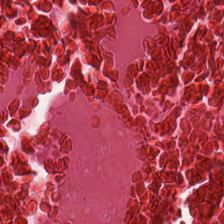0.5 µm/px; 224×224 px patch; hematoxylin-and-eosin stained section. The classification is debris.
